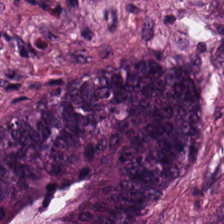H&E stain. 224×224 px tile. Impression → tumor epithelium.
